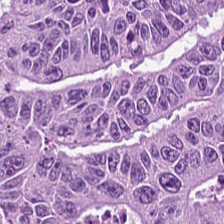Hematoxylin-and-eosin stained section — The predominant tissue is malignant epithelium.
